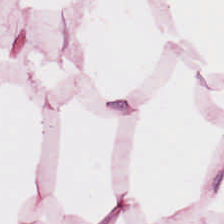Stain: H&E stain.
Tissue class: adipocytes.
